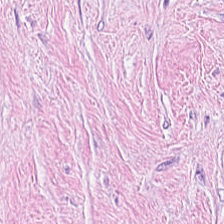H&E-stained tissue section.
Predominantly tumor-associated stroma.
